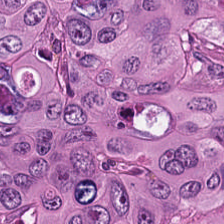Formalin-fixed paraffin-embedded section · hematoxylin-and-eosin stained section · 0.5 µm/px.
{"tissue_type": "colorectal adenocarcinoma"}
